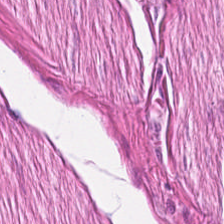Hematoxylin and eosin — Q: What does this patch show?
A: It is smooth-muscle tissue.
